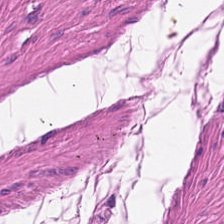Stain: H&E-stained tissue section.
Classification: muscularis.
